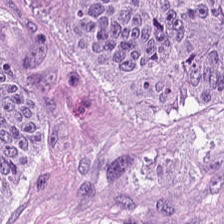H&E stain.
This field is colorectal adenocarcinoma.
